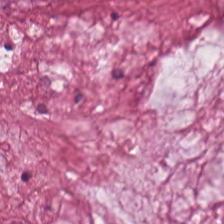Hematoxylin and eosin.
Tissue type — mucin.
